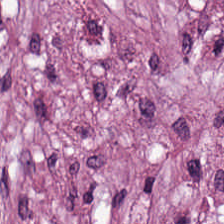H&E-stained tissue section; 224×224 px tile. This field is tumor-associated stroma.
